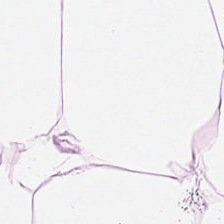H&E-stained section; the field shows adipose.
